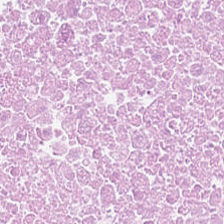H&E. This patch shows debris.
